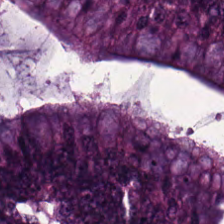Hematoxylin-and-eosin stained section. Q: What is shown here?
A: It is colorectal adenocarcinoma.
